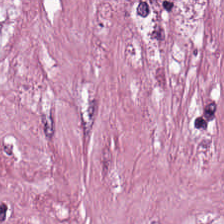224×224 pixel tile · hematoxylin-and-eosin stained section.
Q: Classify this patch.
A: It is cancer-associated stroma.
